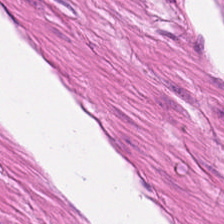224×224 pixel tile. Hematoxylin and eosin. Brightfield microscopy. The tissue class is smooth muscle.
